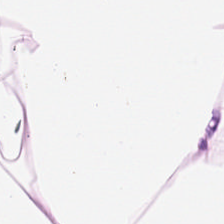The classification is adipose tissue.
